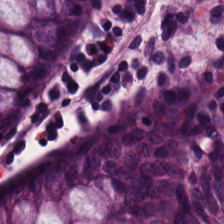Predominantly normal colon mucosa.
